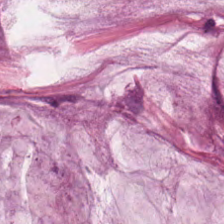Mucus.
